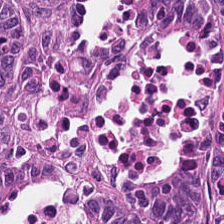H&E · FFPE tissue section · brightfield. Tissue: tumor epithelium.
